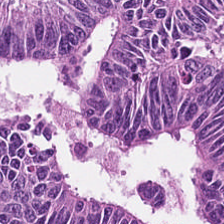Hematoxylin-and-eosin stained section — The tissue here is tumor epithelium.
